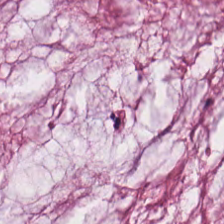Stain: H&E.
Classification: mucus.
